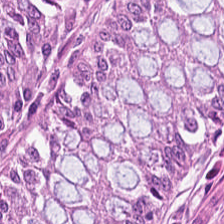Finding — benign colonic mucosa.
